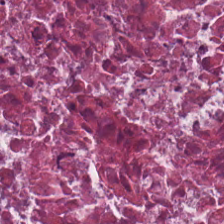H&E-stained tissue section. Tissue class = necrotic debris.
